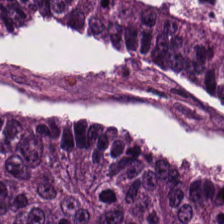H&E-stained tissue section — This patch shows colorectal adenocarcinoma.
